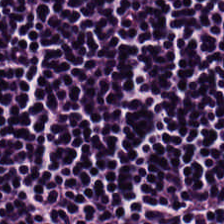Hematoxylin and eosin. 0.5 microns per pixel — Tissue class — lymphoid infiltrate.
